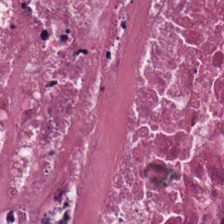0.5 µm/px. H&E stain.
Tissue type — necrotic debris.
